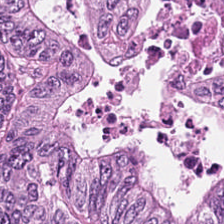This patch shows malignant epithelium.
